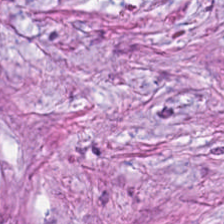Hematoxylin-and-eosin stained section.
Showing tumor stroma.
